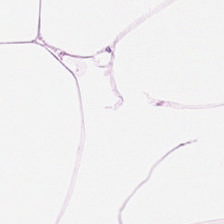H&E-stained tissue section showing adipocytes.
